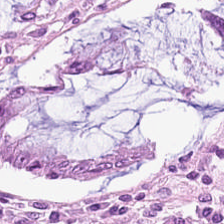H&E stain · FFPE.
Q: What tissue type is shown here?
A: Normal colon mucosa.
